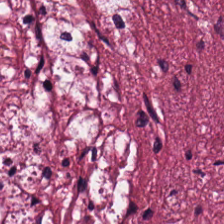Hematoxylin-and-eosin stained section — This patch shows tumor-associated stroma.
